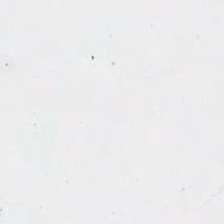H&E stain. The field content is empty background.
